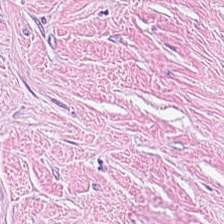Showing desmoplastic stroma.
